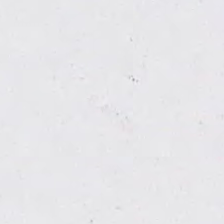H&E stain.
This patch shows background (no tissue).
